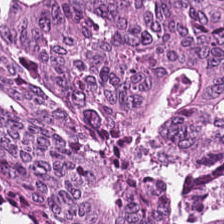H&E-stained tissue section. The tissue is colorectal adenocarcinoma.
